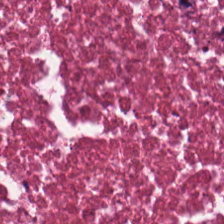Hematoxylin-and-eosin stained section. Q: What type of tissue is this?
A: This is cellular debris.
